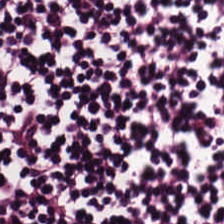H&E-stained tissue section. {"tissue_type": "lymphocytes"}
